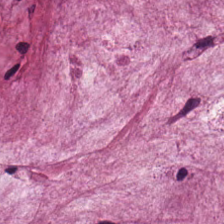The tissue is mucus.
